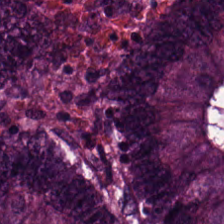H&E-stained tissue section — The tissue is malignant epithelium.
